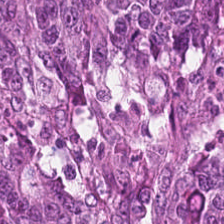Q: What tissue type is shown here?
A: This is colorectal adenocarcinoma epithelium.
